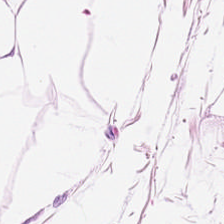H&E.
This patch shows adipocytes.
